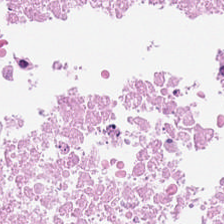H&E — debris.
